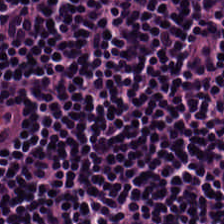Stain: hematoxylin-and-eosin stained section.
Preparation: formalin-fixed paraffin-embedded section.
Predominant tissue: lymphocytes.
